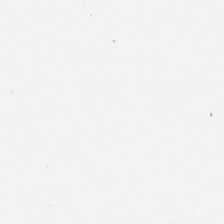Field content = no tissue.
